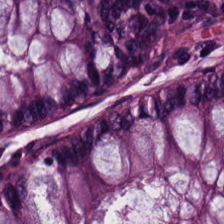Tissue class — benign colonic mucosa.
